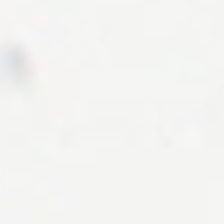Brightfield · H&E stain — Impression — no tissue.
